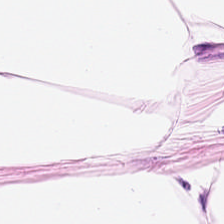Q: What tissue is shown?
A: Adipocytes.
